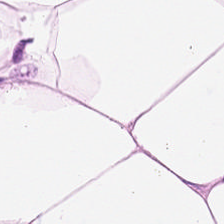H&E stain. Predominantly adipose tissue.
